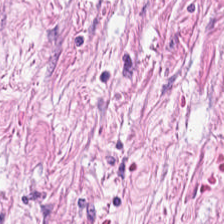Stain: hematoxylin and eosin.
Acquisition: whole-slide-image patch.
Resolution: 20× equivalent magnification.
Tissue: cancer-associated stroma.
